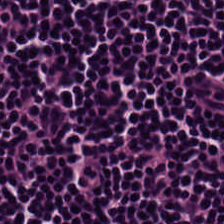Hematoxylin-and-eosin stained section — Tissue class: lymphocyte aggregate.
